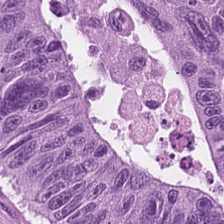Hematoxylin-and-eosin stained section — Showing colorectal adenocarcinoma epithelium.
